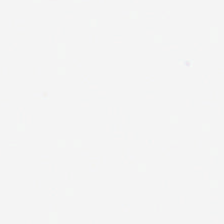Hematoxylin and eosin. Q: Classify this patch.
A: Background (no tissue).
